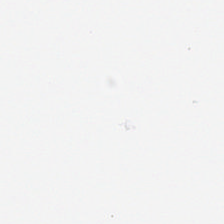Hematoxylin and eosin — The content is no tissue.
